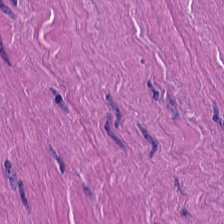Stain: H&E-stained tissue section.
Resolution: 0.5 µm per pixel.
Tissue: smooth-muscle tissue.
